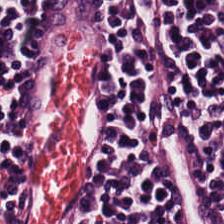This field is lymphocytes.
